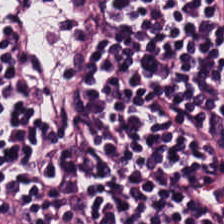H&E-stained tissue section — The tissue here is lymphocytic infiltrate.
